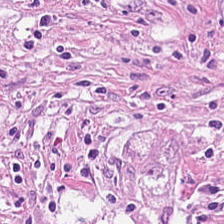H&E-stained section; the field shows tumor stroma.
